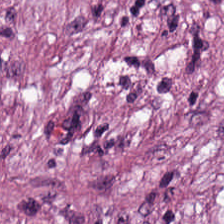Stain: H&E-stained tissue section.
Tissue class: cancer-associated stroma.
